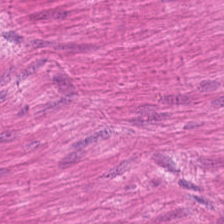Hematoxylin and eosin.
Classification — smooth muscle.
